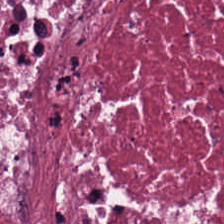Predominantly necrotic debris.
